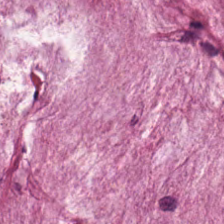H&E.
Tissue class: mucus.
